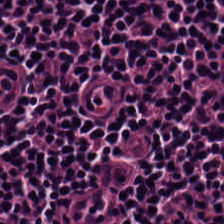Hematoxylin and eosin; formalin-fixed paraffin-embedded section. Showing lymphocyte aggregate.
